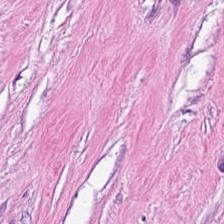Hematoxylin-and-eosin stained section · 224×224 pixel tile — Showing desmoplastic stroma.
